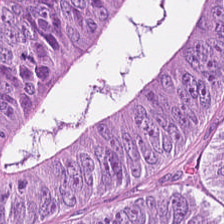H&E-stained tissue section — Q: What tissue type is shown here?
A: It is colorectal adenocarcinoma.
